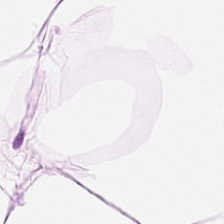Predominant tissue = adipose tissue.
